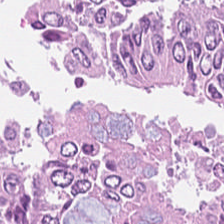Hematoxylin-and-eosin stained section · 20× equivalent magnification — The predominant tissue is colorectal adenocarcinoma.
